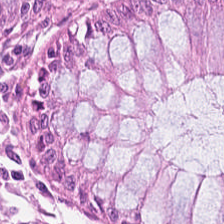0.5 microns per pixel. H&E. FFPE.
This field is benign colonic mucosa.
